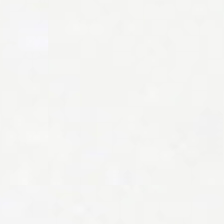Hematoxylin-and-eosin stained section. Q: What is shown in this field?
A: This is background (no tissue).
